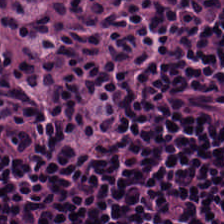Hematoxylin and eosin.
Q: What tissue type is shown here?
A: The field shows lymphocytic infiltrate.
